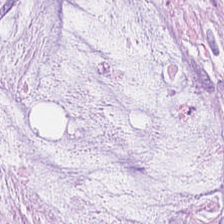H&E stain.
Q: What is shown in this field?
A: This is extracellular mucin.
